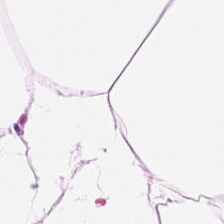Hematoxylin-and-eosin stained section. Tissue = fat tissue.
